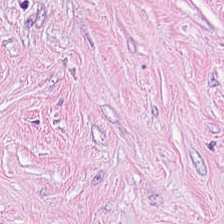Stain: hematoxylin-and-eosin stained section.
Tissue: cancer-associated stroma.
